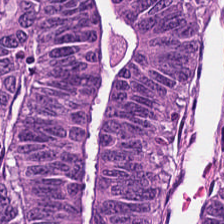H&E.
Histology — adenocarcinoma.
